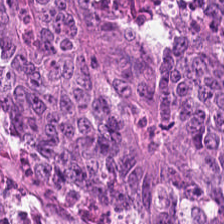Hematoxylin and eosin; FFPE tissue section — Showing tumor epithelium.
